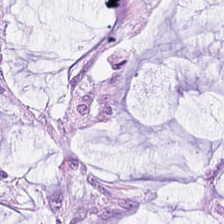Tissue: mucus.
